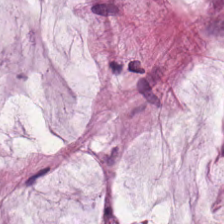Hematoxylin-and-eosin stained section.
Finding — extracellular mucin.
